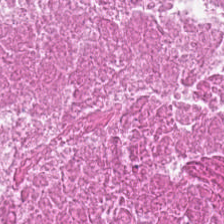H&E stain. Necrotic debris.
